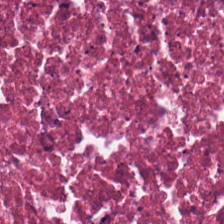Tissue: debris.
